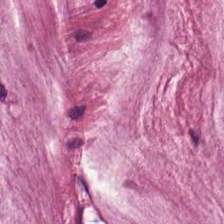Stain: H&E.
Tissue class: mucus.
